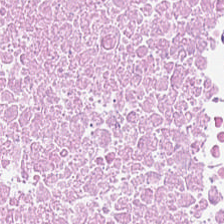H&E stain — Tissue: necrotic debris.
